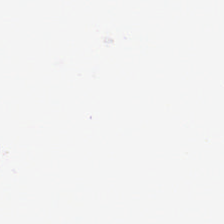The classification is background (no tissue).
